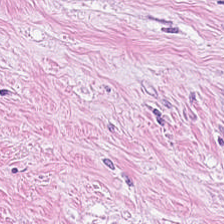Q: What type of tissue is this?
A: Tumor stroma.
